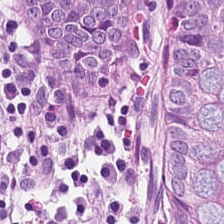Stain: hematoxylin-and-eosin stained section.
Preparation: FFPE tissue section.
Classification: normal colon mucosa.
